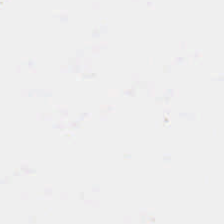H&E — This patch shows background.
